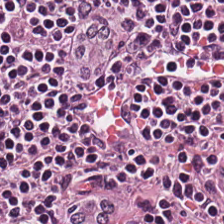Formalin-fixed paraffin-embedded section · H&E. The tissue here is lymphocytic infiltrate.
